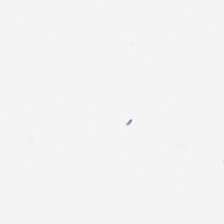The content is no tissue.
